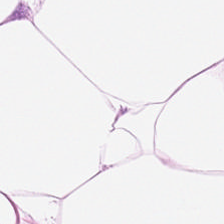H&E stain; FFPE tissue section.
Finding → fat tissue.
